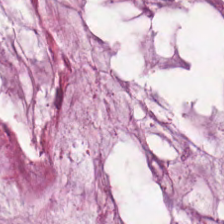Stain: H&E stain.
Tissue class: mucin.
